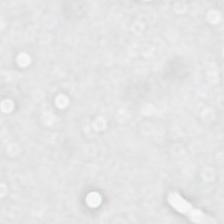H&E. 224×224 pixel tile. 20× equivalent magnification. Q: What is shown in this field?
A: This is empty background.
